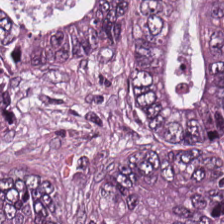The classification is colorectal adenocarcinoma.
